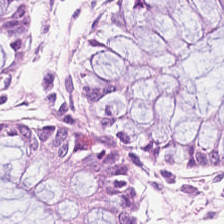Hematoxylin and eosin.
Q: What is the predominant tissue type?
A: It is normal colon mucosa.
